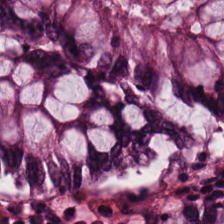H&E-stained tissue section · 0.5 µm/px — This field is benign colonic mucosa.
